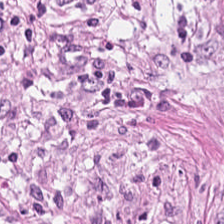Hematoxylin-and-eosin stained section — Histology — tumor-associated stroma.
